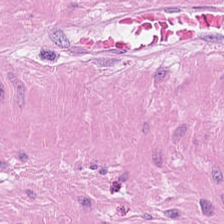224×224 px tile · H&E stain.
Predominantly smooth-muscle tissue.
